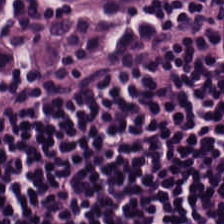Tissue: lymphoid infiltrate.
